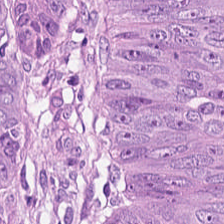Stain: H&E-stained tissue section.
Tissue class: malignant epithelium.
